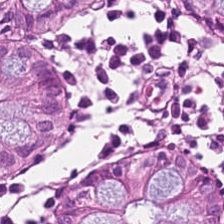Impression → benign colonic mucosa.
